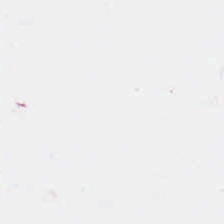FFPE · hematoxylin-and-eosin stained section · whole-slide-image patch — {"content": "no tissue"}
